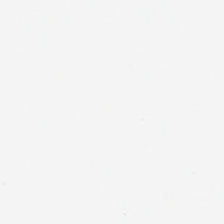H&E — The field content is empty background.
